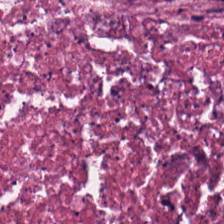Stain: hematoxylin and eosin.
Resolution: 20× equivalent magnification.
Tissue class: necrotic debris.
